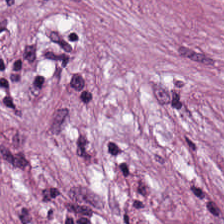Hematoxylin and eosin; FFPE tissue section — Predominant tissue — tumor-associated stroma.
